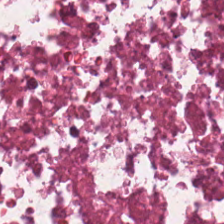The tissue is cellular debris.
